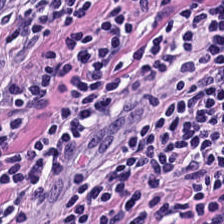Hematoxylin and eosin. 224×224 px patch. {"tissue_type": "lymphoid infiltrate"}
